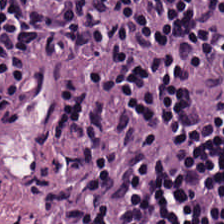Hematoxylin and eosin — This patch shows lymphocytes.
